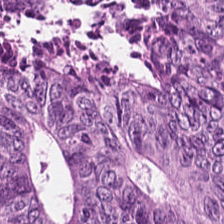Hematoxylin and eosin — Q: What tissue is shown?
A: This is adenocarcinoma.
